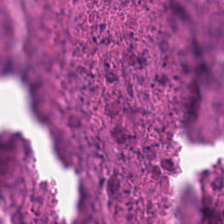{"tissue_type": "necrotic debris"}
